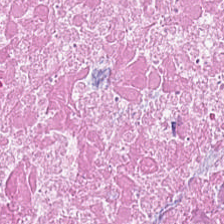Whole-slide-image patch. Hematoxylin-and-eosin stained section. 0.5 microns per pixel.
Q: What is the predominant tissue type?
A: It is debris.
